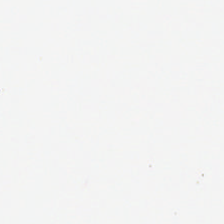Stain: hematoxylin-and-eosin stained section.
Classification: background.
